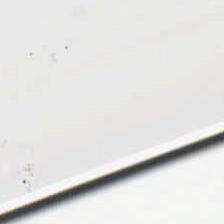Finding → empty background.
